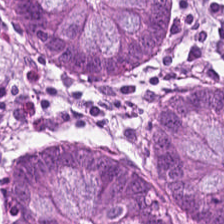H&E stain. The tissue here is non-neoplastic colon mucosa.
